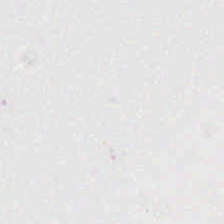Hematoxylin and eosin; whole-slide-image patch — Content — empty background.
